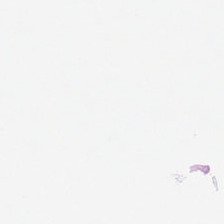Stain: H&E stain.
Classification: background (no tissue).
